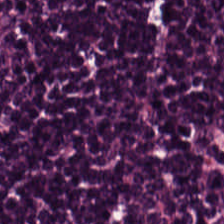Q: What tissue is shown?
A: It is lymphocytes.
